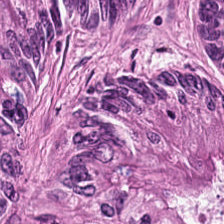Finding → adenocarcinoma.
